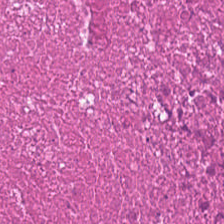Necrotic debris.
